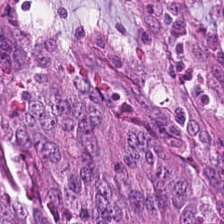Hematoxylin and eosin — Q: What tissue type is shown here?
A: This is malignant epithelium.
